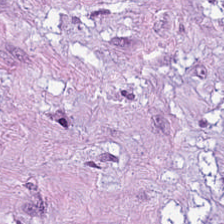Brightfield; H&E stain; 20× equivalent magnification.
Histology — tumor-associated stroma.
